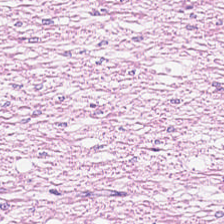H&E; WSI patch. Classification — muscularis.
